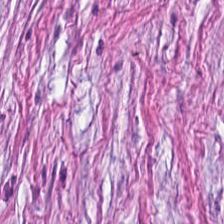H&E-stained tissue section.
Classification — tumor-associated stroma.
